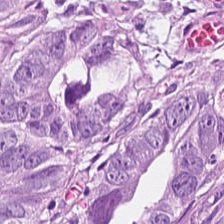Hematoxylin-and-eosin stained section.
Tissue = tumor epithelium.
